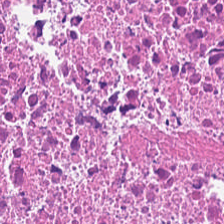Stain: H&E.
Tissue: debris.
